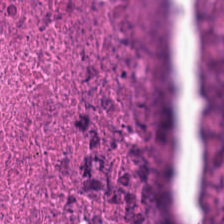Stain: H&E stain.
Tissue class: cellular debris.
